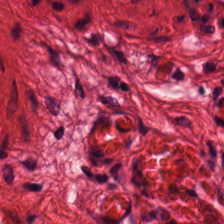Hematoxylin and eosin.
The tissue class is muscularis.
